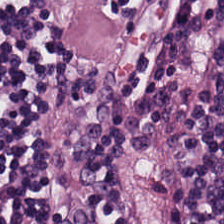Stain: hematoxylin-and-eosin stained section.
Tissue: lymphocytes.
